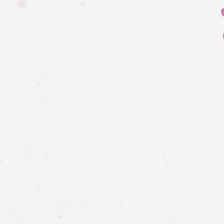The classification is background.
